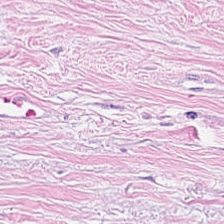H&E patch showing tumor-associated stroma.
